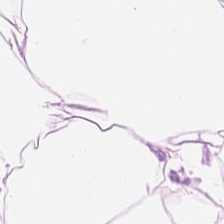Q: What is shown in this field?
A: The field shows adipose tissue.
